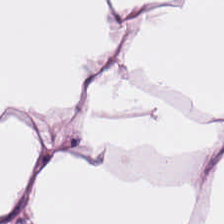H&E stain; 224×224 px tile; FFPE.
This patch shows fat tissue.
